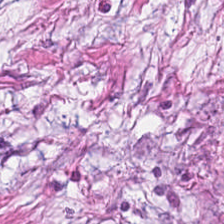Hematoxylin and eosin.
Classification = desmoplastic stroma.
